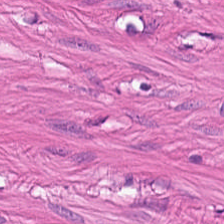H&E stain — Tissue type: smooth-muscle tissue.
